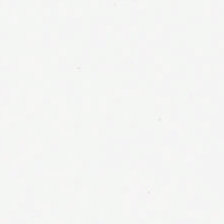H&E-stained tissue section.
Empty background.
